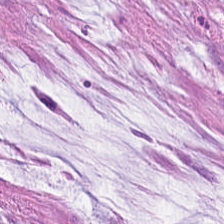H&E — Tissue class: extracellular mucin.
